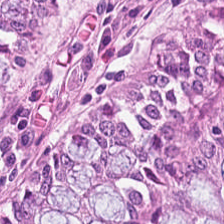0.5 µm/px; hematoxylin-and-eosin stained section.
Impression → normal colon mucosa.
